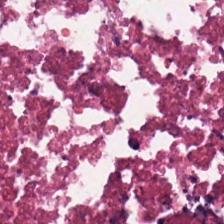Q: What tissue type is shown here?
A: Cellular debris.
